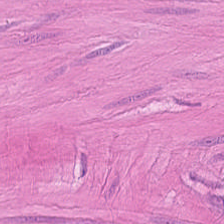H&E — Q: What type of tissue is this?
A: This is muscularis.
